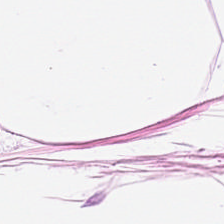H&E.
Q: Classify this patch.
A: The field shows adipose.
